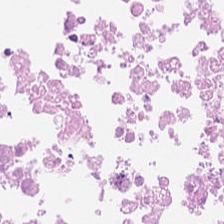H&E.
This patch shows debris.
